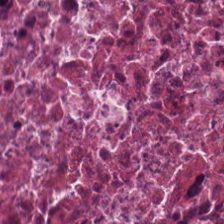Hematoxylin and eosin; FFPE — The predominant tissue is necrotic debris.
